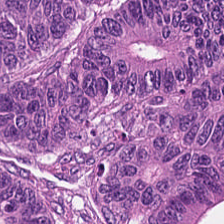Classification: colorectal adenocarcinoma epithelium.
